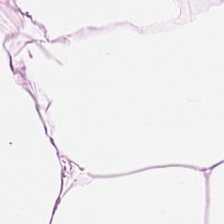Hematoxylin and eosin. The predominant tissue is adipocytes.
